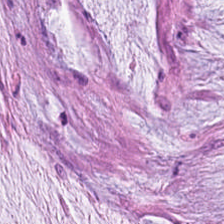Q: What type of tissue is this?
A: This is extracellular mucin.
